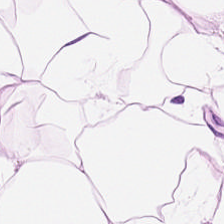H&E patch showing adipose tissue.
